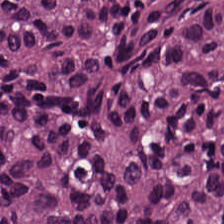H&E stain. Impression — tumor epithelium.
